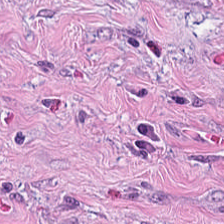H&E; 0.5 microns per pixel. Impression — cancer-associated stroma.
